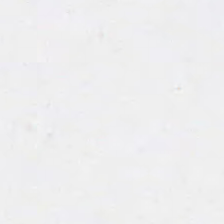Stain: hematoxylin-and-eosin stained section.
Tile size: 224×224 px tile.
Content: background.
